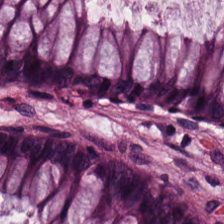H&E stain · 224×224 px patch. Q: What does this patch show?
A: Benign colonic mucosa.
